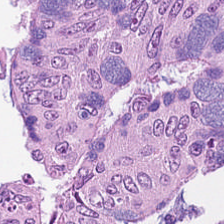H&E stain. The predominant tissue is colorectal adenocarcinoma.
